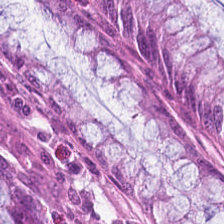H&E — Normal colonic mucosa.
